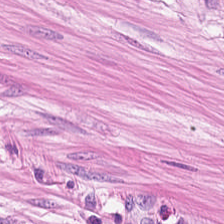Formalin-fixed paraffin-embedded section · hematoxylin-and-eosin stained section — Smooth-muscle tissue.
